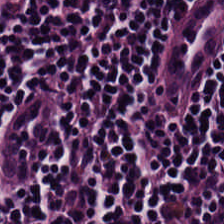Hematoxylin-and-eosin stained section. FFPE.
Showing lymphocyte aggregate.
